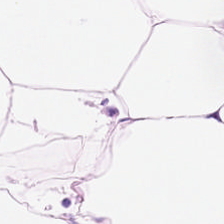H&E-stained tissue section. Showing fat tissue.
